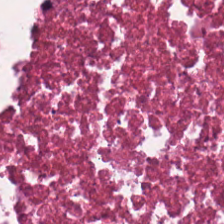Stain: hematoxylin and eosin.
Acquisition: WSI patch.
Predominant tissue: cellular debris.
